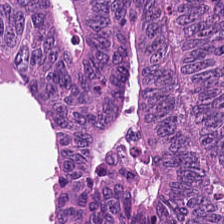0.5 µm/px · H&E. This patch shows colorectal adenocarcinoma epithelium.
